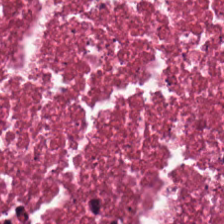224×224 pixel tile; H&E. {"tissue_type": "necrotic debris"}
